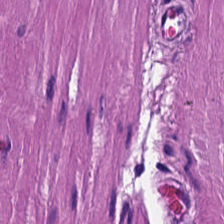Whole-slide-image patch; H&E-stained tissue section; 20× equivalent magnification. This patch shows smooth-muscle tissue.
